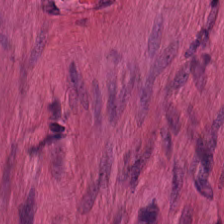This field is smooth-muscle tissue.
